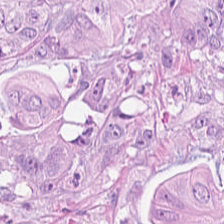Hematoxylin and eosin — Classification — adenocarcinoma.
